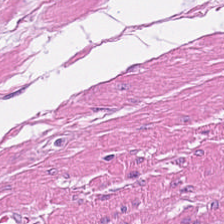Stain: H&E.
Tissue: smooth muscle.
